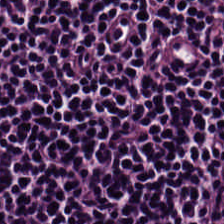H&E stain. Tissue — lymphocytes.
